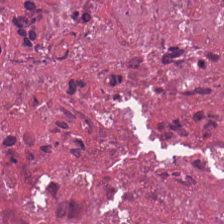Q: What is shown here?
A: Necrotic debris.
